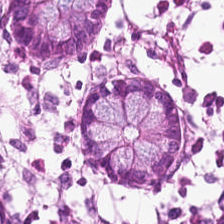Tissue type — normal colon mucosa.
